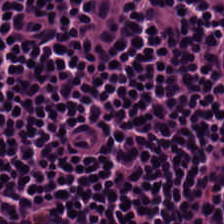Q: What tissue type is shown here?
A: Lymphoid infiltrate.
